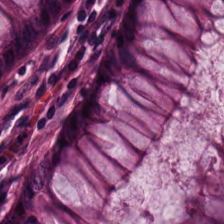H&E-stained tissue section · 224×224 pixel tile. Predominant tissue = normal colon mucosa.
